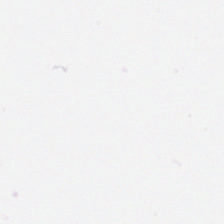H&E-stained tissue section. Classification — background (no tissue).
